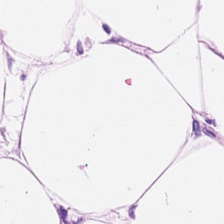Hematoxylin and eosin. 0.5 microns per pixel. FFPE tissue section. The predominant tissue is adipose.
